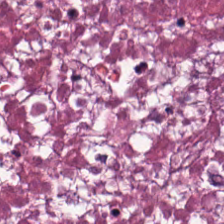Formalin-fixed paraffin-embedded section · H&E — This field is debris.
